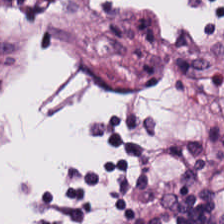H&E stain.
Lymphocyte aggregate.
